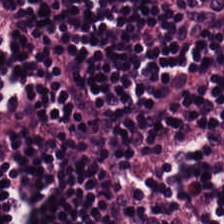Q: What is shown in this field?
A: The field shows lymphocytic infiltrate.
